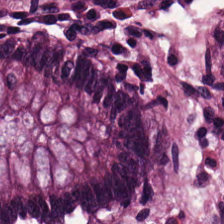0.5 microns per pixel; H&E stain.
Q: What tissue is shown?
A: This is normal colonic mucosa.
